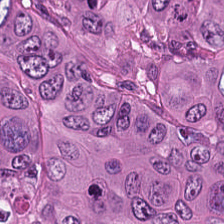Histology — adenocarcinoma.
